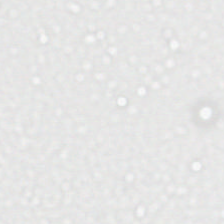0.5 µm per pixel; hematoxylin and eosin.
Empty field — background (no tissue).
